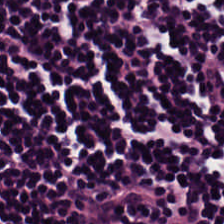The tissue here is lymphoid infiltrate.
